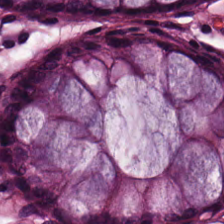Stain: hematoxylin-and-eosin stained section.
Preparation: FFPE.
Tissue class: normal colon mucosa.
